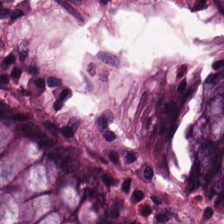Q: Classify this patch.
A: Normal colonic mucosa.
